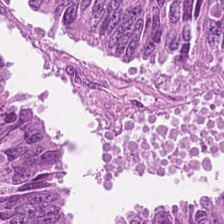Hematoxylin-and-eosin stained section · 224×224 px patch. {"tissue_type": "malignant epithelium"}
